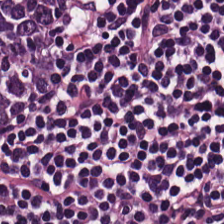Tissue type = lymphocyte aggregate.
